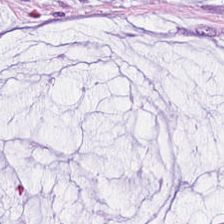Tissue type — mucus.
